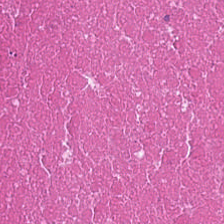H&E-stained tissue section showing cellular debris.
